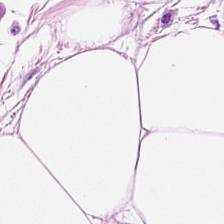H&E-stained tissue section. Brightfield microscopy. 0.5 µm per pixel.
Q: Identify the tissue.
A: Adipose tissue.
